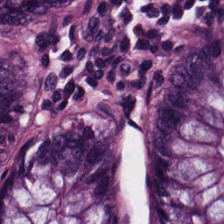H&E-stained tissue section; 224×224 px patch — Q: What tissue is shown?
A: This is normal colonic mucosa.
